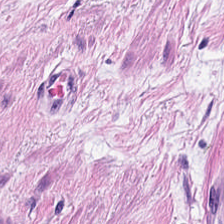H&E — The tissue here is muscularis.
